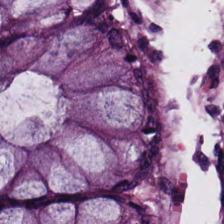Showing normal colonic mucosa.
